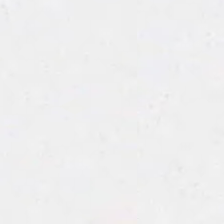Stain: hematoxylin and eosin.
Field content: background.
